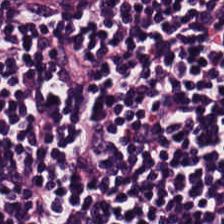WSI patch. H&E-stained tissue section — The predominant tissue is lymphocyte aggregate.
